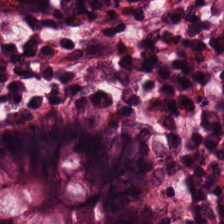Hematoxylin and eosin; FFPE — Showing normal colonic mucosa.
